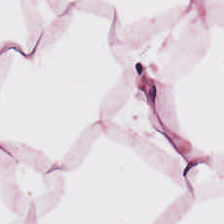Brightfield. H&E. Impression → adipose.
